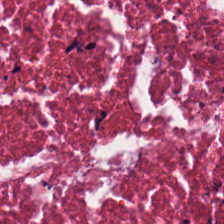Stain: H&E.
Acquisition: brightfield.
Tissue type: necrotic debris.
